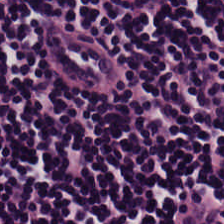Hematoxylin and eosin. This patch shows lymphoid infiltrate.
